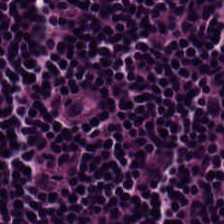224×224 px patch; H&E.
The tissue here is lymphoid infiltrate.
